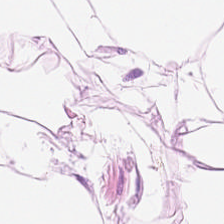Hematoxylin and eosin. Q: What is shown here?
A: Fat tissue.
